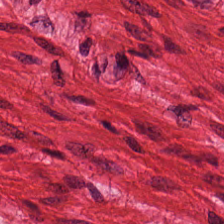Whole-slide-image patch. Hematoxylin and eosin — Smooth-muscle tissue.
